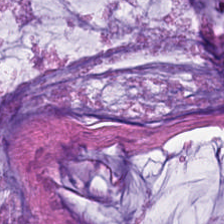Classification: mucin.
